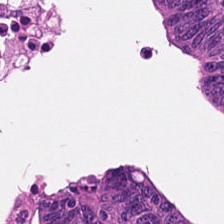Hematoxylin and eosin — The tissue here is adenocarcinoma.
